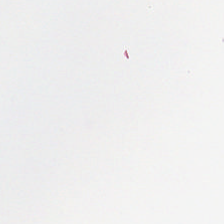The content is empty background.
